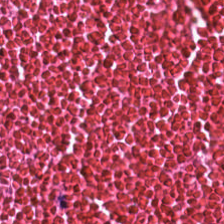Predominantly cellular debris.
